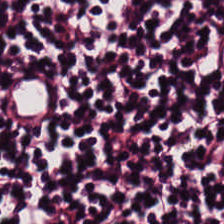Predominantly lymphocytic infiltrate.
